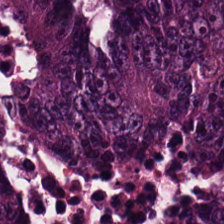Hematoxylin-and-eosin stained section; FFPE tissue section; 224×224 px patch. This patch shows tumor epithelium.
